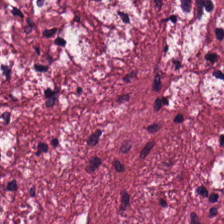Whole-slide-image patch; H&E stain; FFPE — Tissue class: cancer-associated stroma.
